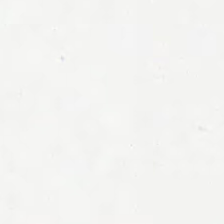Hematoxylin-and-eosin stained section. {"content": "no tissue"}
